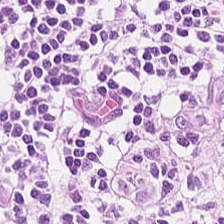{"tissue_type": "lymphocytes"}
